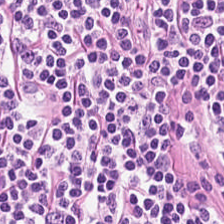Hematoxylin-and-eosin stained section — Tissue type = lymphocytic infiltrate.
